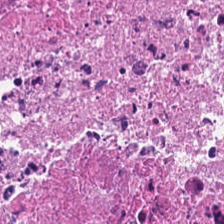H&E; 224×224 pixel tile — Tissue class = necrotic debris.
